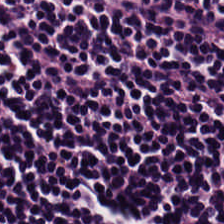Hematoxylin-and-eosin stained section. Impression → lymphocyte aggregate.
